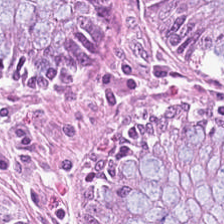Hematoxylin-and-eosin stained section. The tissue type is normal colonic mucosa.
